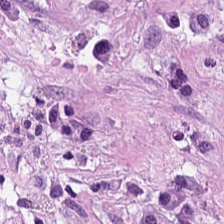224×224 pixel tile. Hematoxylin and eosin — {"tissue_type": "desmoplastic stroma"}
